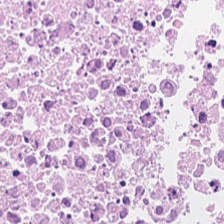H&E stain.
This patch shows debris.
